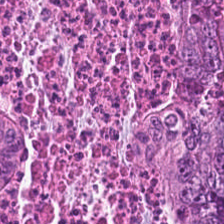FFPE tissue section; hematoxylin-and-eosin stained section. Q: Identify the tissue.
A: It is colorectal adenocarcinoma epithelium.
